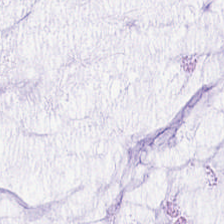Hematoxylin-and-eosin stained section — This patch shows extracellular mucin.
